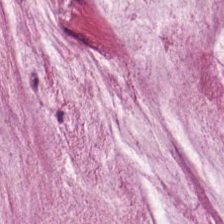WSI patch · H&E stain. Q: What tissue is shown?
A: Mucin.
